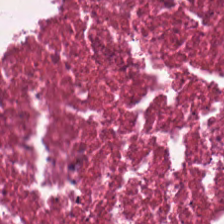The tissue here is cellular debris.
